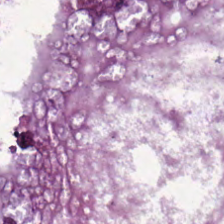H&E — colorectal adenocarcinoma epithelium.
